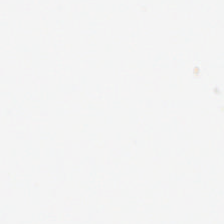Hematoxylin and eosin. Brightfield microscopy — This patch shows empty background.
